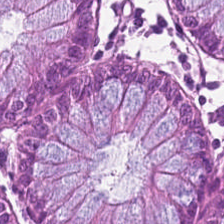Hematoxylin and eosin — The predominant tissue is benign colonic mucosa.
